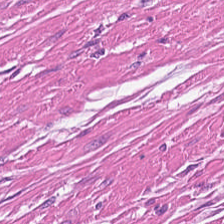Hematoxylin-and-eosin stained section.
Classification: smooth muscle.
